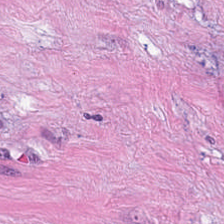0.5 µm per pixel · H&E-stained tissue section.
The predominant tissue is tumor-associated stroma.
